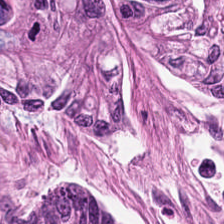Showing colorectal adenocarcinoma.
